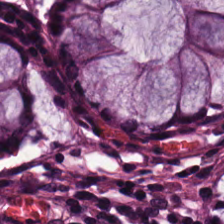Hematoxylin and eosin · FFPE · 0.5 µm per pixel.
Tissue type: normal colon mucosa.
